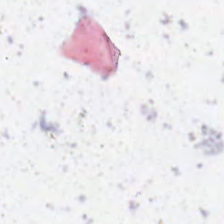H&E stain. The classification is empty background.
